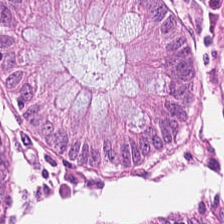H&E-stained tissue section — The predominant tissue is normal colon mucosa.
